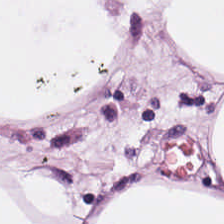H&E; 224×224 px patch.
Predominantly adipose tissue.
